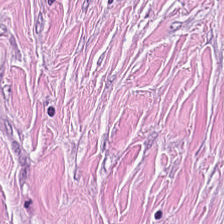H&E-stained tissue section. {"tissue_type": "tumor stroma"}
